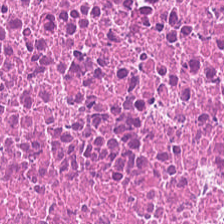Hematoxylin-and-eosin stained section — The predominant tissue is debris.
